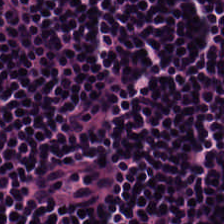Showing lymphoid infiltrate.
